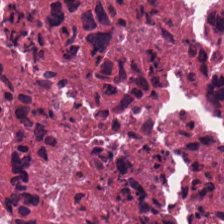0.5 µm per pixel · hematoxylin and eosin.
Q: What tissue is shown?
A: It is debris.
